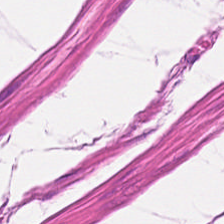H&E stain; brightfield.
The tissue is muscularis.
